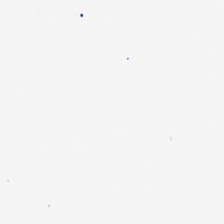Stain: hematoxylin-and-eosin stained section.
Content: empty background.
